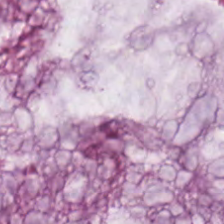H&E-stained tissue section showing mucus.
